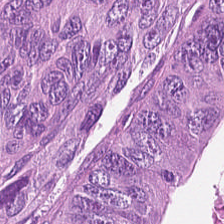Formalin-fixed paraffin-embedded section. H&E stain. 0.5 µm/px. {"tissue_type": "tumor epithelium"}
